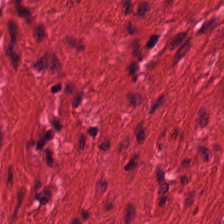H&E-stained tissue section.
Finding → smooth-muscle tissue.
